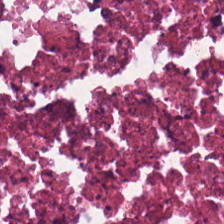Hematoxylin and eosin — The predominant tissue is cellular debris.
